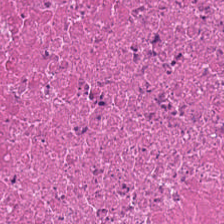Hematoxylin-and-eosin stained section.
{"tissue_type": "debris"}
